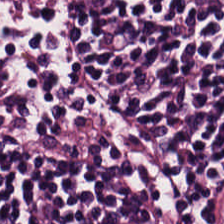Hematoxylin-and-eosin stained section. {"tissue_type": "lymphocytic infiltrate"}
